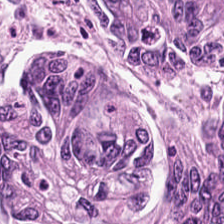Hematoxylin-and-eosin stained section. Classification: tumor epithelium.
